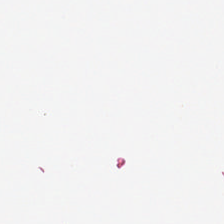Empty field — background (no tissue).
